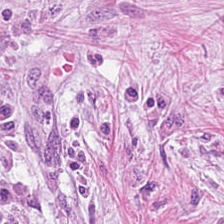Impression → tumor stroma.
